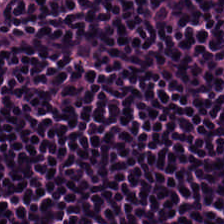0.5 microns per pixel. Brightfield microscopy. H&E-stained tissue section.
{"tissue_type": "lymphocytes"}
